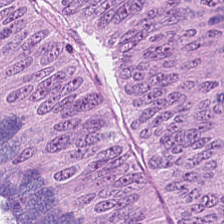H&E. Tissue class: colorectal adenocarcinoma epithelium.
